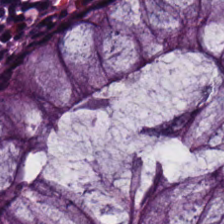H&E stain. Q: What tissue is shown?
A: This is non-neoplastic colon mucosa.
